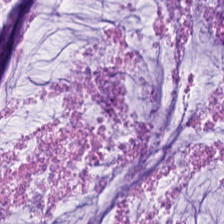Hematoxylin-and-eosin stained section; 224×224 px tile. {"tissue_type": "mucus"}
